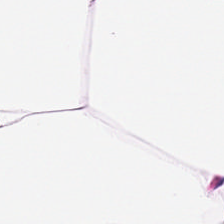Stain: hematoxylin and eosin.
Preparation: formalin-fixed paraffin-embedded section.
Tissue: adipose.
